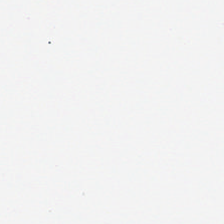Brightfield microscopy; H&E stain — {"content": "no tissue"}
